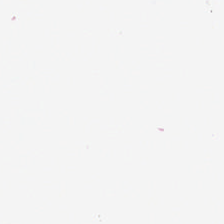Hematoxylin-and-eosin stained section · 224×224 px patch — The content is empty background.
